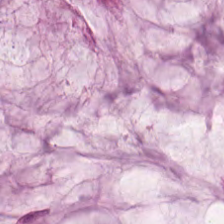Tissue class = mucin.
